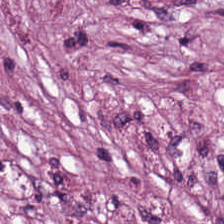Stain: H&E-stained tissue section.
Preparation: FFPE tissue section.
Tissue: tumor stroma.
